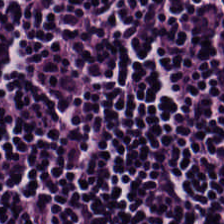H&E.
Predominant tissue: lymphocytes.
